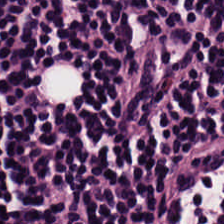Brightfield · H&E-stained tissue section · 0.5 µm/px — Tissue type = lymphocytes.
